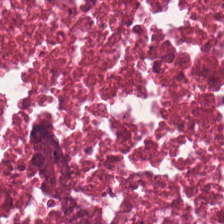H&E patch showing necrotic debris.
